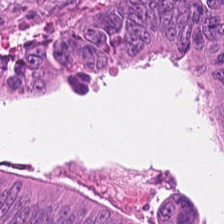H&E — This patch shows adenocarcinoma.
